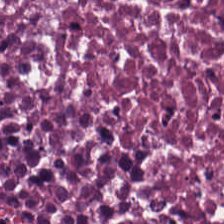Stain: H&E stain.
Classification: debris.
